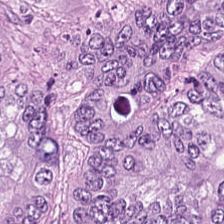Hematoxylin-and-eosin stained section. This field is colorectal adenocarcinoma.
